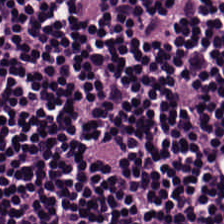Stain: hematoxylin-and-eosin stained section.
Tissue: lymphocytes.
